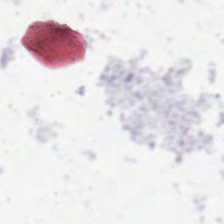H&E stain. Content — empty background.
